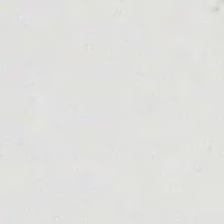224×224 pixel tile · hematoxylin-and-eosin stained section.
Q: What is shown in this field?
A: Empty background.
